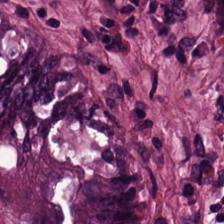Hematoxylin-and-eosin section: colorectal adenocarcinoma.
